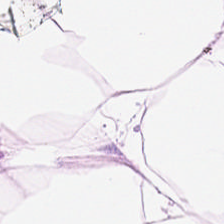Hematoxylin and eosin.
Q: What is the predominant tissue type?
A: This is adipose.
